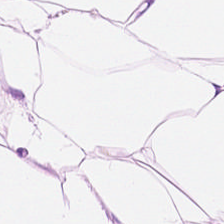H&E-stained section; the field shows adipocytes.
